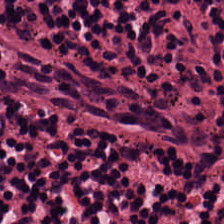Stain: H&E stain.
Tile size: 224×224 px tile.
Classification: lymphocyte aggregate.
